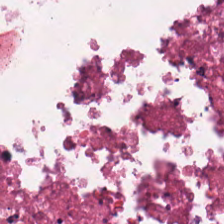H&E-stained tissue section. The predominant tissue is debris.
